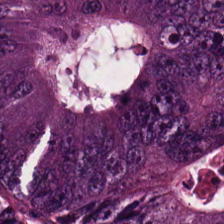H&E · 0.5 µm/px · 224×224 px patch.
Predominant tissue — colorectal adenocarcinoma.
